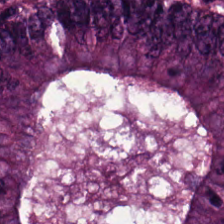Hematoxylin and eosin — Tissue class: adenocarcinoma.
